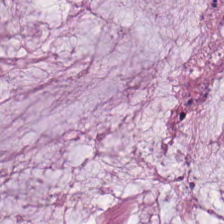H&E; FFPE tissue section; 20× equivalent magnification — Predominantly mucus.
